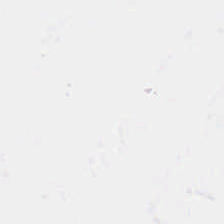224×224 pixel tile. Hematoxylin and eosin. FFPE tissue section — Background.
